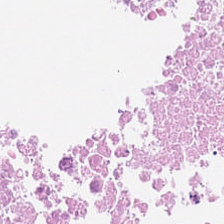H&E. Predominant tissue: debris.
